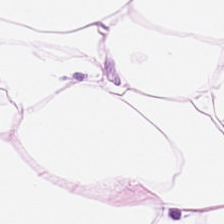H&E — Impression — adipose tissue.
